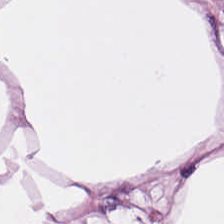Hematoxylin and eosin · 224×224 px tile.
Adipose tissue.
